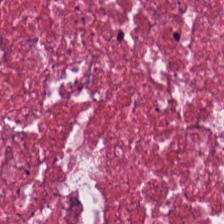The predominant tissue is tumor stroma.
